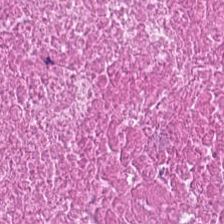Hematoxylin-and-eosin section: debris.
